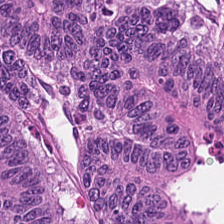Stain: H&E-stained tissue section.
Tissue class: malignant epithelium.
